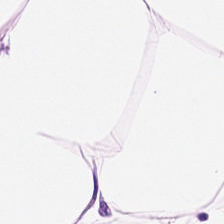FFPE tissue section. H&E stain.
Tissue class — adipose tissue.
